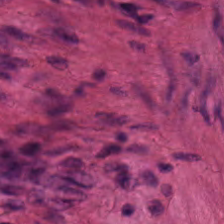H&E-stained tissue section. Predominant tissue — smooth muscle.
